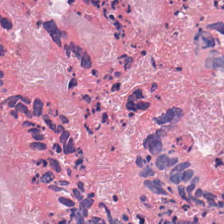H&E-stained tissue section. The predominant tissue is debris.
